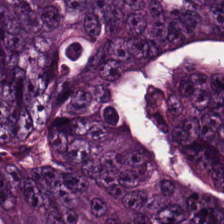Tissue type — colorectal adenocarcinoma epithelium.
